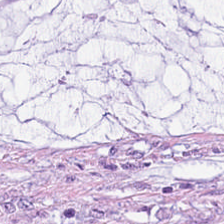Formalin-fixed paraffin-embedded section; hematoxylin-and-eosin stained section.
Finding → mucus.
